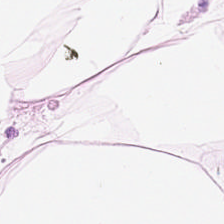H&E patch showing adipose.
